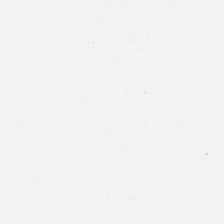Hematoxylin and eosin; brightfield microscopy; FFPE — No tissue.
